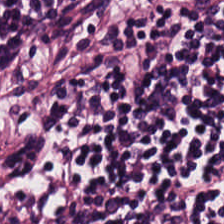H&E; FFPE.
Predominantly lymphocytes.
